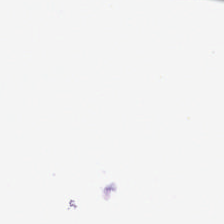Impression → background (no tissue).
